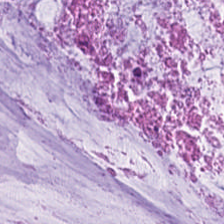H&E stain. Brightfield microscopy — Histology → mucus.
